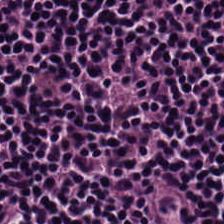Hematoxylin-and-eosin stained section; brightfield. Impression — lymphocytes.
